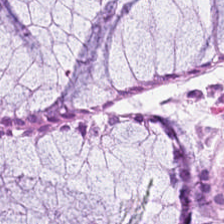Hematoxylin and eosin; 0.5 µm per pixel — The tissue is benign colonic mucosa.
